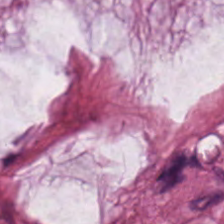Hematoxylin and eosin.
The tissue here is mucin.
